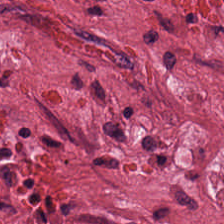H&E — cancer-associated stroma.
